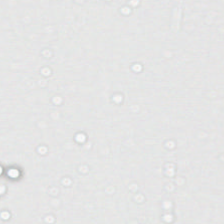H&E-stained tissue section · 224×224 pixel tile · whole-slide-image patch. Field content: no tissue.
